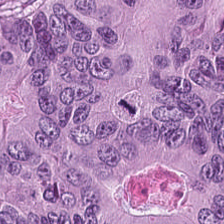H&E-stained tissue section. Formalin-fixed paraffin-embedded section.
Predominantly colorectal adenocarcinoma.
